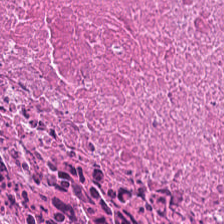Stain: hematoxylin-and-eosin stained section.
Acquisition: WSI patch.
Resolution: 0.5 µm/px.
Tissue type: debris.
